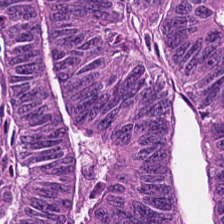Brightfield; H&E. This field is malignant epithelium.
